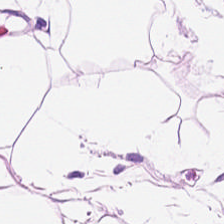{"tissue_type": "adipose tissue"}
